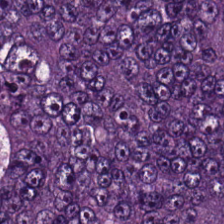Tissue = colorectal adenocarcinoma epithelium.
